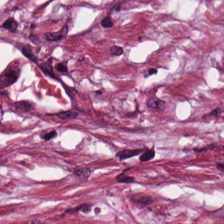H&E stain — Impression — desmoplastic stroma.
